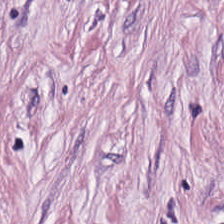Stain: H&E.
Acquisition: brightfield.
Resolution: 0.5 µm per pixel.
Tissue: tumor stroma.
